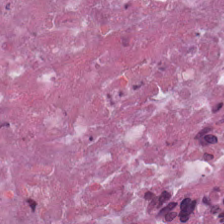H&E stain; 224×224 px patch.
Predominantly cellular debris.
